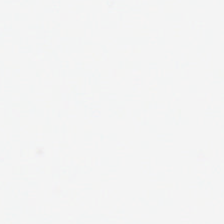H&E — Background — no tissue in this field.
